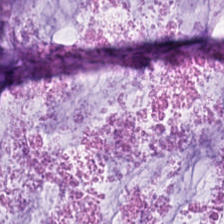H&E-stained tissue section showing mucin.
